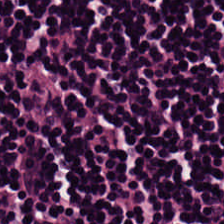Brightfield · hematoxylin and eosin · 20× equivalent magnification. This patch shows lymphocyte aggregate.
